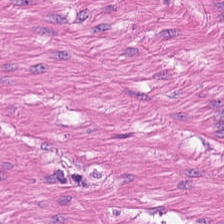H&E — Showing smooth muscle.
